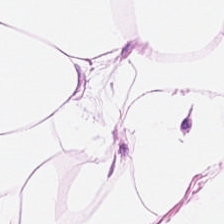Hematoxylin and eosin — Predominantly fat tissue.
